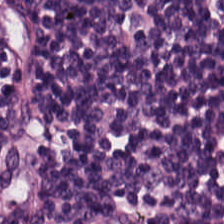H&E stain. 224×224 pixel tile.
This patch shows lymphoid infiltrate.
